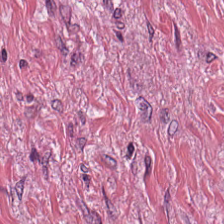0.5 microns per pixel. H&E stain. 224×224 px patch — Tissue: tumor-associated stroma.
